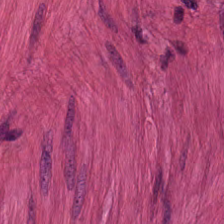The tissue class is smooth-muscle tissue.
